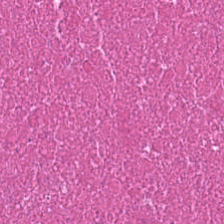Hematoxylin-and-eosin stained section — Tissue class = debris.
